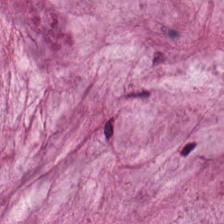0.5 µm/px · hematoxylin-and-eosin stained section · FFPE. Predominant tissue — extracellular mucin.
